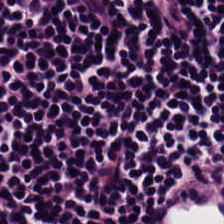Hematoxylin and eosin.
This field is lymphocytes.
